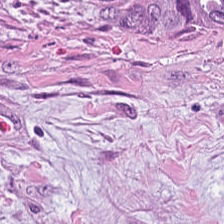Hematoxylin and eosin. 224×224 px patch — Impression — tumor-associated stroma.
